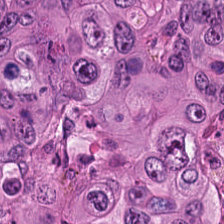Hematoxylin-and-eosin stained section. Tissue: colorectal adenocarcinoma epithelium.
